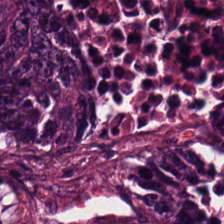224×224 pixel tile · hematoxylin and eosin — Colorectal adenocarcinoma.
